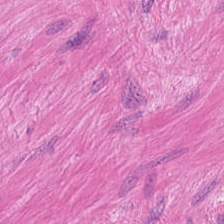Hematoxylin-and-eosin stained section — The tissue is muscularis.
